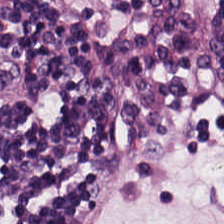H&E stain. FFPE. 0.5 microns per pixel. Tissue type — lymphoid infiltrate.
